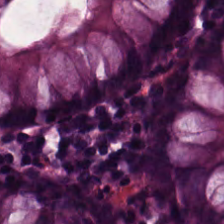H&E-stained tissue section. Tissue type — non-neoplastic colon mucosa.
